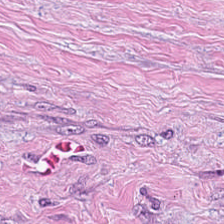20× equivalent magnification · WSI patch · H&E-stained tissue section.
The predominant tissue is cancer-associated stroma.
